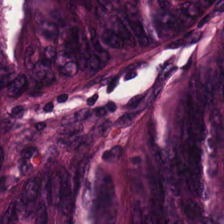H&E. Showing tumor epithelium.
